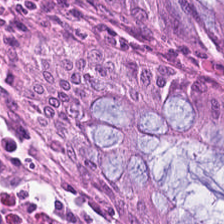Formalin-fixed paraffin-embedded section. 224×224 pixel tile. H&E. Normal colon mucosa.
